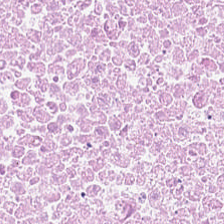Brightfield · 224×224 px patch · H&E-stained tissue section — Tissue: cellular debris.
